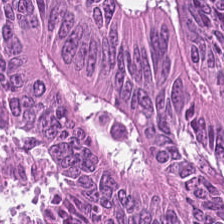Hematoxylin and eosin. FFPE.
Q: Classify this patch.
A: This is colorectal adenocarcinoma.
